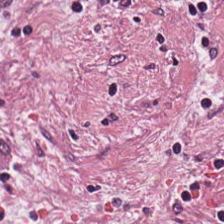Q: What is shown here?
A: This is desmoplastic stroma.
